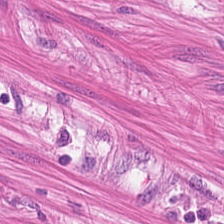Hematoxylin and eosin.
This field is smooth muscle.
